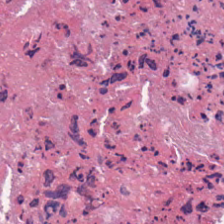Stain: H&E-stained tissue section.
Predominant tissue: debris.
